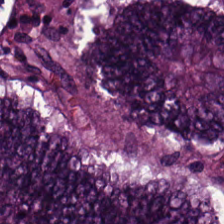FFPE tissue section; H&E. The classification is colorectal adenocarcinoma.
